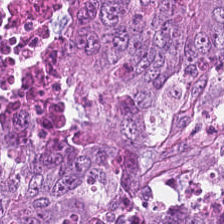H&E stain. FFPE tissue section. 0.5 µm per pixel. Showing colorectal adenocarcinoma epithelium.
